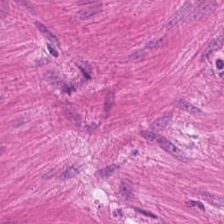Hematoxylin and eosin; FFPE tissue section.
Tissue type = smooth-muscle tissue.
